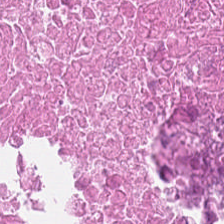Predominant tissue — necrotic debris.
